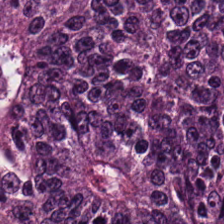FFPE tissue section · H&E stain · 224×224 pixel tile — Showing colorectal adenocarcinoma.
